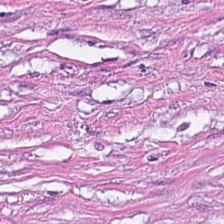H&E-stained tissue section. Brightfield microscopy. This patch shows cancer-associated stroma.
